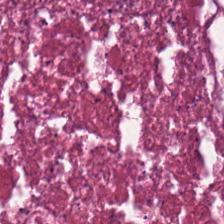Q: What does this patch show?
A: It is necrotic debris.
